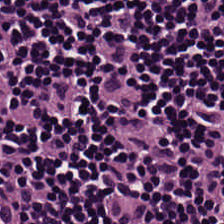H&E-stained tissue section — Tissue = lymphoid infiltrate.
